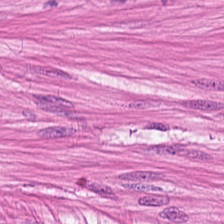H&E-stained section; the field shows smooth muscle.
